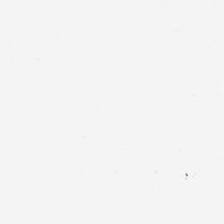Stain: H&E-stained tissue section.
Field content: background (no tissue).
